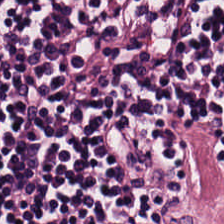H&E stain. Formalin-fixed paraffin-embedded section. Histology — lymphocytic infiltrate.
